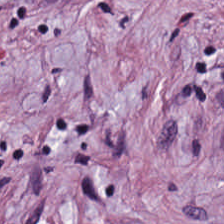H&E — Q: What is the predominant tissue type?
A: It is desmoplastic stroma.
